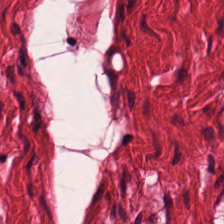Hematoxylin-and-eosin stained section — This field is muscularis.
